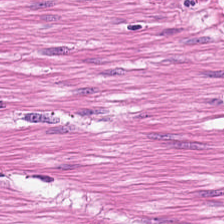224×224 px patch; 20× equivalent magnification; H&E — The tissue is smooth-muscle tissue.
